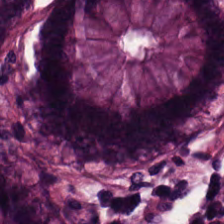Hematoxylin and eosin; 0.5 µm per pixel — {"tissue_type": "non-neoplastic colon mucosa"}
